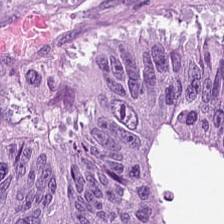Hematoxylin-and-eosin stained section — Predominantly tumor epithelium.
